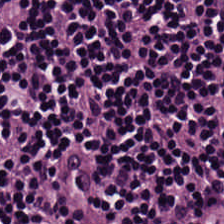Stain: hematoxylin and eosin.
Predominant tissue: lymphocytes.
